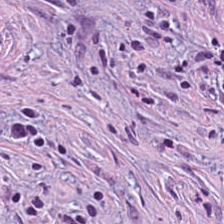Stain: hematoxylin-and-eosin stained section.
Tissue: tumor-associated stroma.
